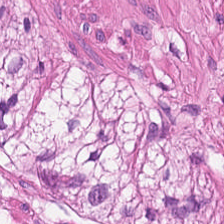Stain: hematoxylin and eosin.
Tissue type: muscularis.
